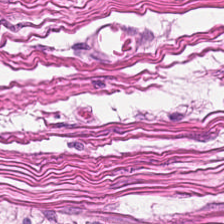Hematoxylin and eosin — The predominant tissue is muscularis.
